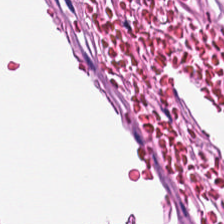Hematoxylin-and-eosin stained section.
Predominantly muscularis.
